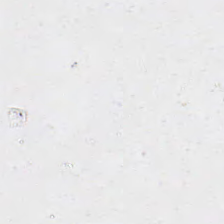20× equivalent magnification. WSI patch. Hematoxylin-and-eosin stained section.
Empty field — empty background.
